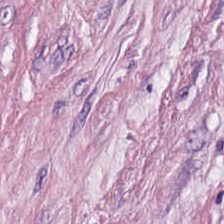20× equivalent magnification. Hematoxylin-and-eosin stained section.
The predominant tissue is cancer-associated stroma.
